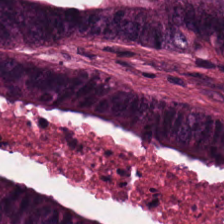H&E. Finding → tumor epithelium.
